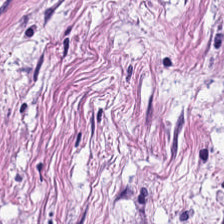Hematoxylin and eosin — Tissue class = tumor stroma.
